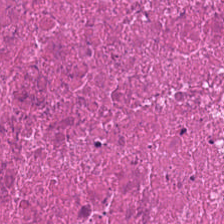Hematoxylin-and-eosin stained section; 0.5 µm per pixel. The classification is necrotic debris.
